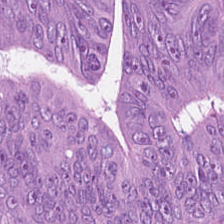Brightfield microscopy · 224×224 px patch · H&E.
Predominantly colorectal adenocarcinoma.
